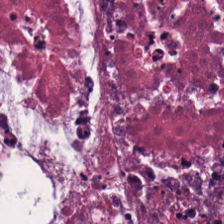H&E. Showing debris.
